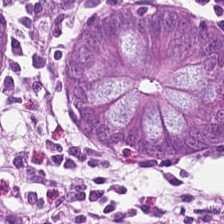Stain: hematoxylin and eosin.
Predominant tissue: benign colonic mucosa.
